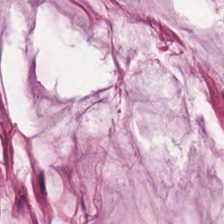224×224 px patch · H&E stain — This patch shows mucus.
